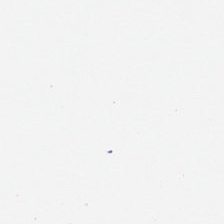Formalin-fixed paraffin-embedded section; H&E stain.
Background — no tissue in this field.
